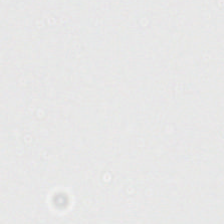Formalin-fixed paraffin-embedded section; hematoxylin and eosin — This field is background (no tissue).
